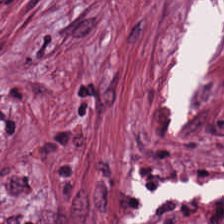FFPE tissue section; 0.5 µm per pixel; hematoxylin and eosin.
The tissue here is cancer-associated stroma.
